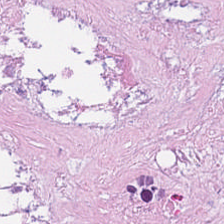H&E stain — The classification is debris.
